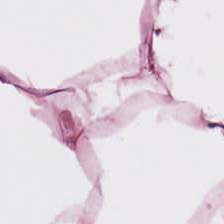Hematoxylin and eosin — This patch shows fat tissue.
